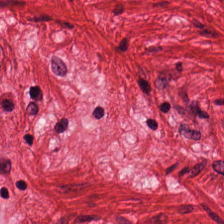20× equivalent magnification · hematoxylin-and-eosin stained section. Showing muscularis.
